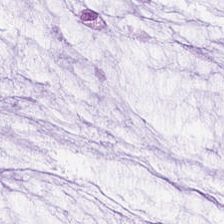Mucus.
